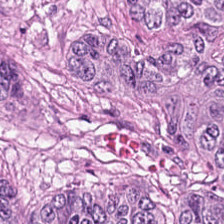Brightfield · hematoxylin-and-eosin stained section. Predominantly malignant epithelium.
